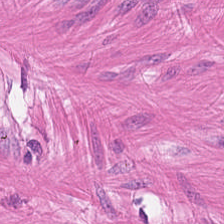Histology — smooth muscle.
